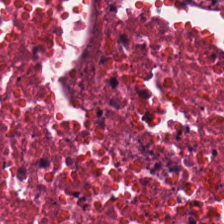Hematoxylin-and-eosin stained section — The predominant tissue is necrotic debris.
